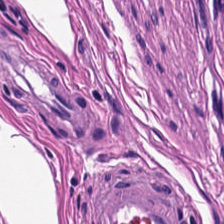Hematoxylin-and-eosin stained section. WSI patch.
Q: Classify this patch.
A: Smooth-muscle tissue.
